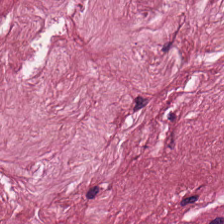H&E stain — Predominantly tumor stroma.
